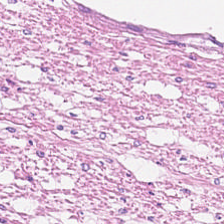H&E-stained tissue section.
Tissue type: smooth-muscle tissue.
